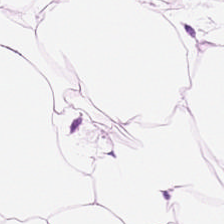H&E patch showing adipose.
